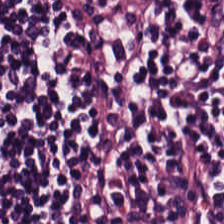H&E-stained tissue section. Brightfield — Predominant tissue = lymphocytic infiltrate.
